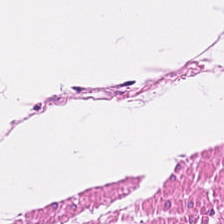H&E stain. The tissue is smooth-muscle tissue.
